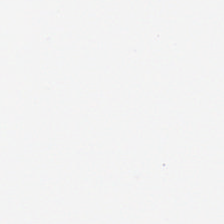H&E — Classification: background (no tissue).
